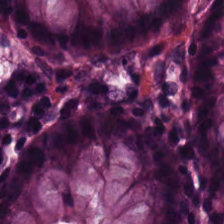H&E-stained tissue section — Histology → benign colonic mucosa.
